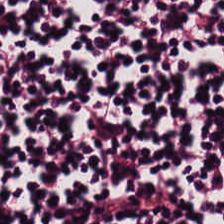Q: Classify this patch.
A: It is lymphoid infiltrate.
